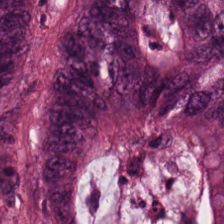{"tissue_type": "adenocarcinoma"}
